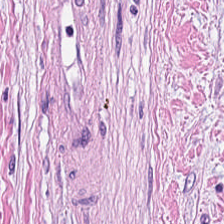0.5 µm/px · hematoxylin-and-eosin stained section. The tissue type is tumor stroma.
